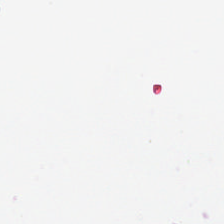H&E stain. Classification: background (no tissue).
